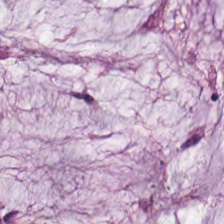Hematoxylin and eosin — Showing mucin.
